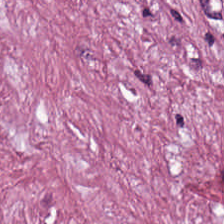The predominant tissue is cancer-associated stroma.
